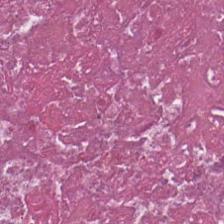H&E stain — Tissue type — debris.
